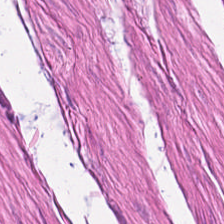Whole-slide-image patch · H&E.
Classification: muscularis.
